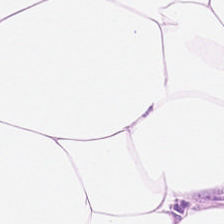{"tissue_type": "adipose"}
